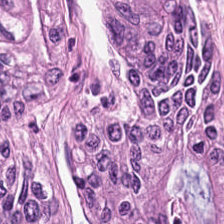Stain: H&E-stained tissue section.
Preparation: FFPE.
Tile size: 224×224 pixel tile.
Tissue type: adenocarcinoma.
